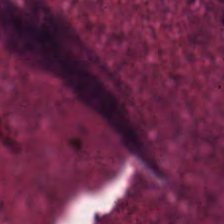FFPE. H&E-stained tissue section. 224×224 px patch. Tissue type: necrotic debris.
